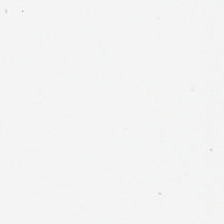H&E; 0.5 µm per pixel — Background — no tissue in this field.
